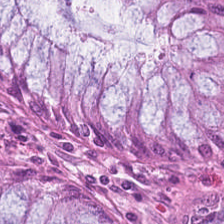Stain: H&E stain.
Tissue: normal colonic mucosa.
